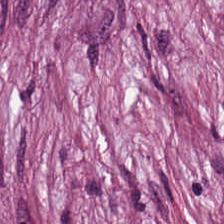224×224 px tile · H&E stain — Tissue class = desmoplastic stroma.
